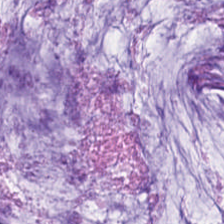FFPE tissue section; H&E stain — This field is extracellular mucin.
